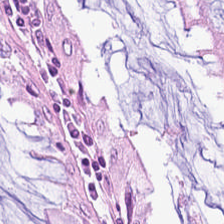0.5 microns per pixel · FFPE · H&E-stained tissue section. Showing normal colon mucosa.
